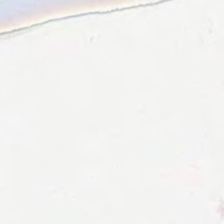H&E stain. The field content is no tissue.
